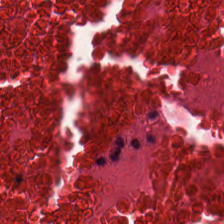224×224 px patch · H&E — Q: Classify this patch.
A: This is debris.
